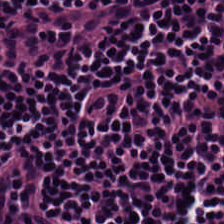0.5 microns per pixel; brightfield; H&E-stained tissue section — Tissue = lymphocytes.
